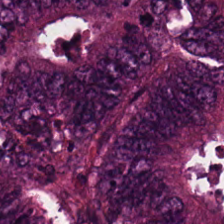Hematoxylin-and-eosin stained section · formalin-fixed paraffin-embedded section. The classification is adenocarcinoma.
